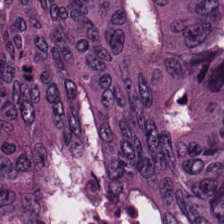H&E-stained tissue section — Histology — tumor epithelium.
